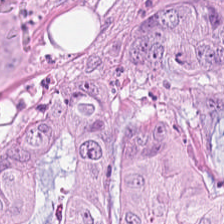Stain: H&E stain.
Tissue type: colorectal adenocarcinoma epithelium.
